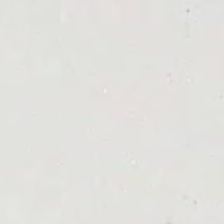Impression — background (no tissue).
